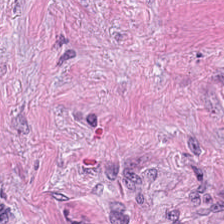H&E-stained tissue section. 0.5 µm/px. Whole-slide-image patch. Finding → tumor stroma.
